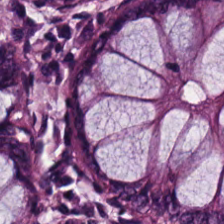H&E-stained tissue section. 0.5 µm per pixel. The tissue here is non-neoplastic colon mucosa.
